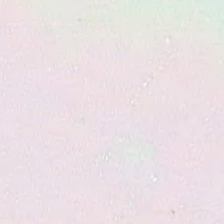Hematoxylin and eosin · whole-slide-image patch.
No tissue present; background only.
